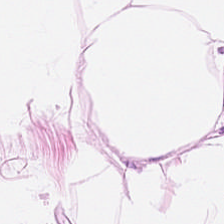Hematoxylin and eosin — Predominantly adipose tissue.
